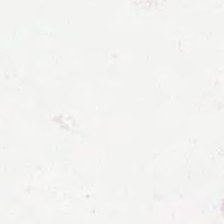Stain: hematoxylin-and-eosin stained section.
Classification: empty background.
